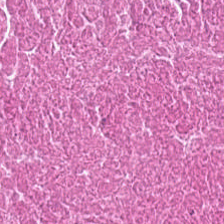Hematoxylin and eosin.
Histology — debris.
